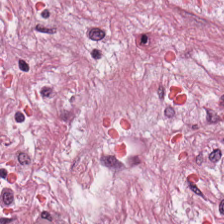This field is tumor-associated stroma.
